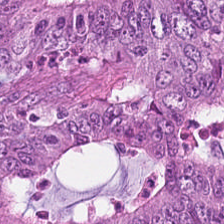224×224 pixel tile · hematoxylin-and-eosin stained section.
Q: What is shown here?
A: The field shows adenocarcinoma.
